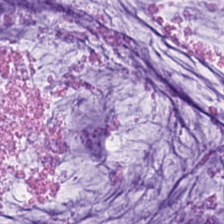H&E. Predominant tissue — mucus.
